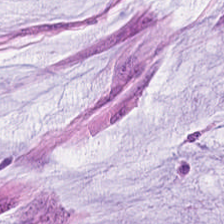H&E-stained tissue section. Formalin-fixed paraffin-embedded section — Mucin.
